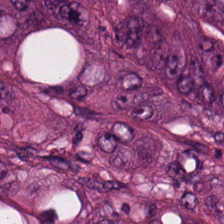Stain: H&E.
Resolution: 0.5 µm/px.
Acquisition: whole-slide-image patch.
Tissue class: malignant epithelium.
